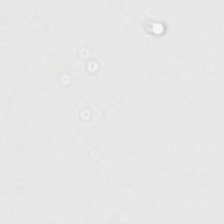Stain: hematoxylin-and-eosin stained section.
Content: background.
